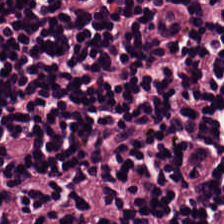The predominant tissue is lymphocyte aggregate.
